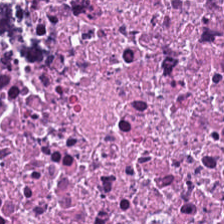Hematoxylin-and-eosin stained section. The tissue class is necrotic debris.
